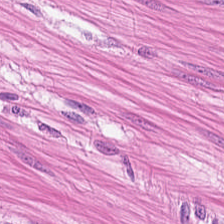Histology — muscularis.
